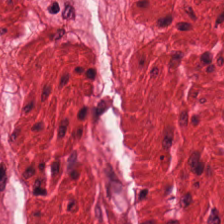H&E.
Q: What is shown in this field?
A: The field shows smooth-muscle tissue.
